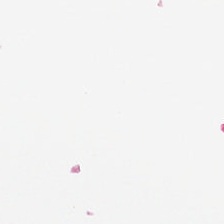Hematoxylin and eosin · FFPE tissue section — Q: What is shown here?
A: Empty background.
